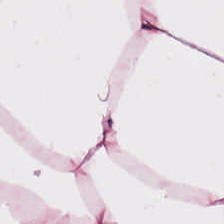Stain: H&E stain.
Tissue type: adipose.
